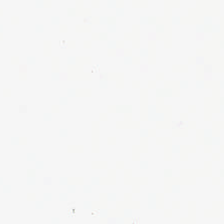224×224 pixel tile. H&E stain — Q: What is shown here?
A: It is background (no tissue).
